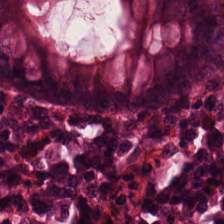20× equivalent magnification; hematoxylin and eosin.
Q: What tissue is shown?
A: This is normal colon mucosa.
